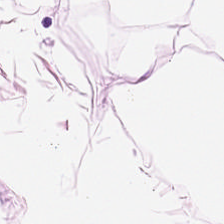H&E-stained tissue section.
Showing adipocytes.
